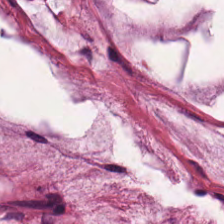Hematoxylin-and-eosin stained section. Predominant tissue = mucin.
